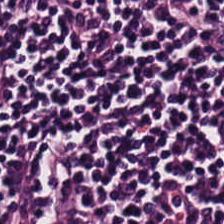Whole-slide-image patch. H&E. Q: Identify the tissue.
A: Lymphocytes.
